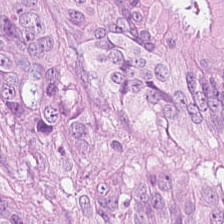This field is malignant epithelium.
